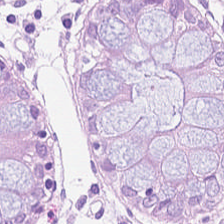H&E.
The predominant tissue is normal colonic mucosa.
